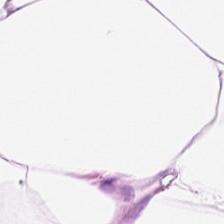Brightfield microscopy · H&E stain.
{"tissue_type": "fat tissue"}
